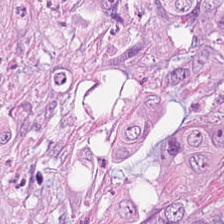Hematoxylin and eosin.
Tissue type = adenocarcinoma.
